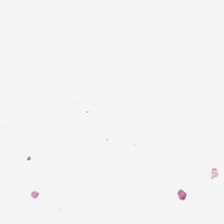Classification: background (no tissue).
